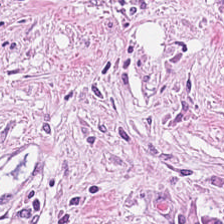H&E-stained tissue section. 224×224 pixel tile. WSI patch.
Q: Classify this patch.
A: The field shows cancer-associated stroma.
